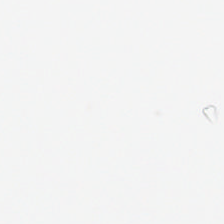Formalin-fixed paraffin-embedded section. H&E — This field is background (no tissue).
